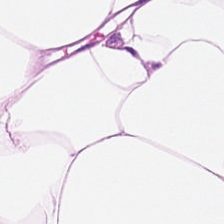224×224 px tile · H&E.
Predominantly adipose tissue.
